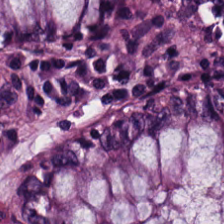The predominant tissue is normal colon mucosa.
